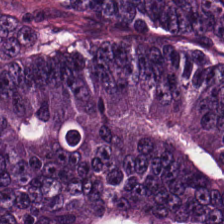224×224 px patch · H&E stain · 0.5 microns per pixel — Tissue class = tumor epithelium.
